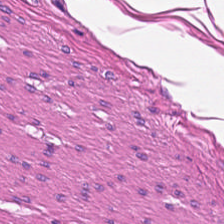H&E-stained tissue section — Tissue: smooth-muscle tissue.
